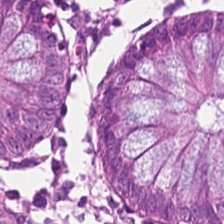Hematoxylin-and-eosin section: normal colon mucosa.
